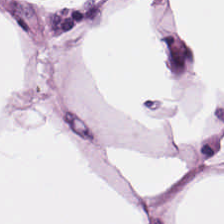H&E.
Fat tissue.
